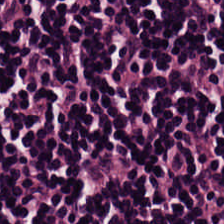224×224 px patch · 0.5 µm/px · H&E-stained tissue section. Showing lymphocytic infiltrate.
